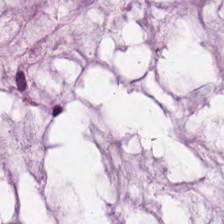H&E stain. Mucin.
